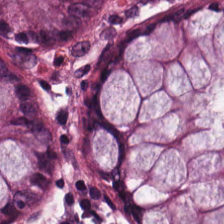0.5 µm per pixel. 224×224 px patch. Hematoxylin and eosin — The predominant tissue is normal colon mucosa.
